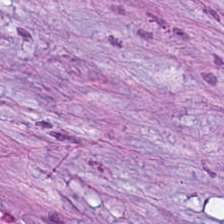H&E stain. Desmoplastic stroma.
